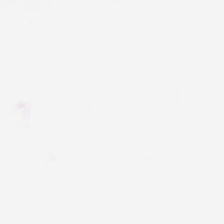Hematoxylin and eosin. FFPE — Q: Classify this patch.
A: It is no tissue.
